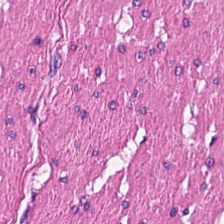H&E — smooth-muscle tissue.
